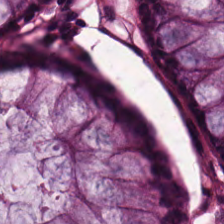Hematoxylin-and-eosin section: non-neoplastic colon mucosa.
